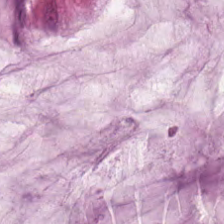This field is mucin.
